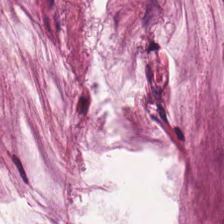H&E — Q: What is shown in this field?
A: It is mucin.
